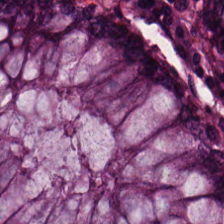Tissue class: normal colon mucosa.
